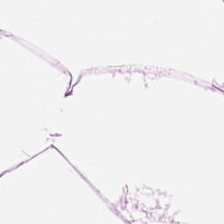Classification — fat tissue.
